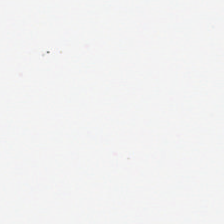Hematoxylin-and-eosin stained section. FFPE.
This patch shows empty background.
